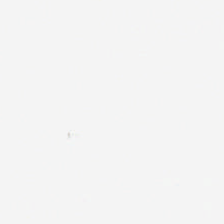Stain: hematoxylin-and-eosin stained section.
Content: no tissue.
